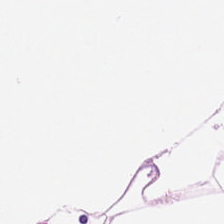Brightfield; 0.5 microns per pixel; hematoxylin and eosin — Histology → adipose tissue.
